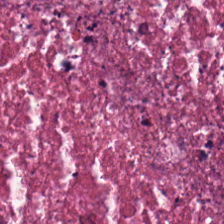Hematoxylin-and-eosin stained section — Predominantly debris.
